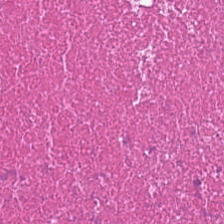H&E-stained tissue section showing debris.
